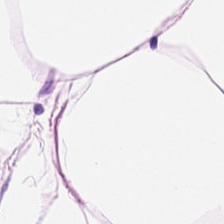Hematoxylin-and-eosin stained section. Adipocytes.
